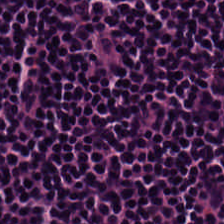H&E-stained tissue section — Q: What does this patch show?
A: It is lymphocytic infiltrate.
